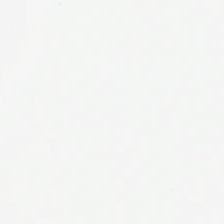0.5 µm per pixel; hematoxylin and eosin; whole-slide-image patch — This field is background (no tissue).
